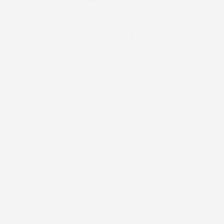Stain: H&E stain.
Classification: background.
